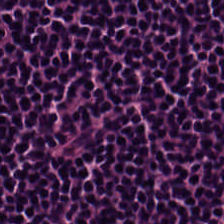Finding → lymphocytic infiltrate.
